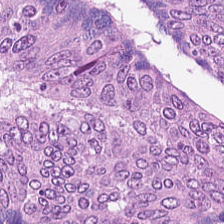Stain: hematoxylin-and-eosin stained section.
Tile size: 224×224 pixel tile.
Predominant tissue: colorectal adenocarcinoma.
